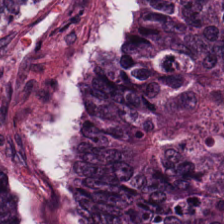WSI patch; hematoxylin and eosin; 224×224 px patch. Q: What is the predominant tissue type?
A: The field shows adenocarcinoma.
